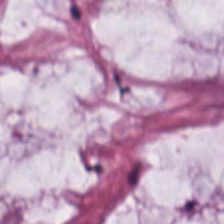{"tissue_type": "extracellular mucin"}
